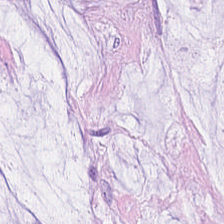Formalin-fixed paraffin-embedded section. Hematoxylin-and-eosin stained section.
The predominant tissue is mucus.
